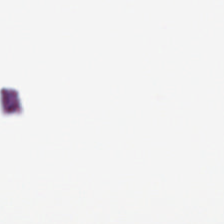Hematoxylin and eosin. No tissue present; background only.
